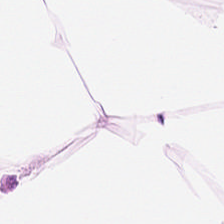Tissue class: adipose.
